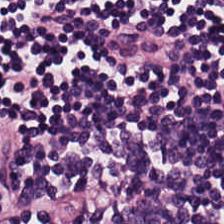Tissue type: lymphocytic infiltrate.
